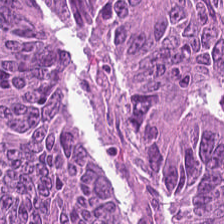H&E-stained tissue section — Q: What is shown here?
A: This is colorectal adenocarcinoma.
